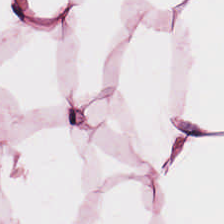H&E-stained tissue section.
Tissue — adipose tissue.
